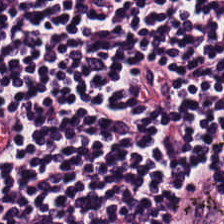H&E — Finding — lymphocytes.
